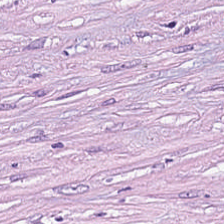Finding — tumor-associated stroma.
